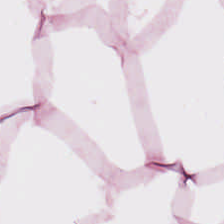Hematoxylin and eosin — Q: What tissue is shown?
A: The field shows adipocytes.
